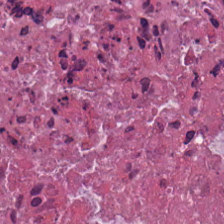This patch shows cellular debris.
